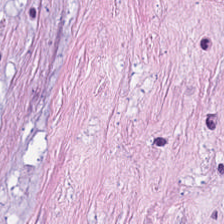Classification: tumor-associated stroma.
